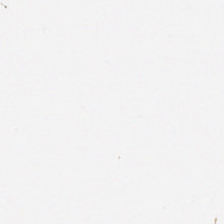FFPE tissue section. H&E. 0.5 µm per pixel. This field is background (no tissue).
